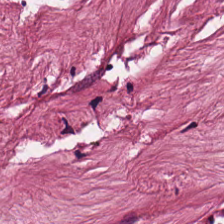H&E-stained tissue section. This field is tumor stroma.
